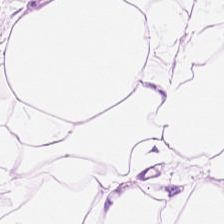This field is fat tissue.
